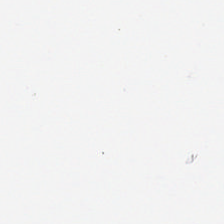H&E-stained tissue section. Impression — background.
